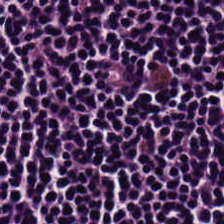0.5 µm/px. 224×224 pixel tile. H&E stain.
The tissue class is lymphoid infiltrate.
